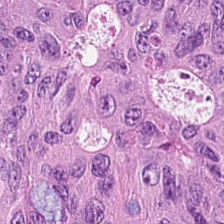Hematoxylin-and-eosin stained section. Q: Identify the tissue.
A: This is adenocarcinoma.
